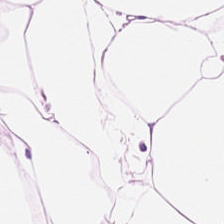H&E stain. Adipose tissue.
